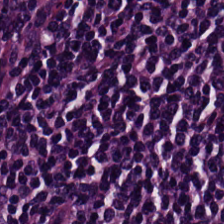Hematoxylin and eosin. 20× equivalent magnification. Brightfield microscopy.
Tissue type = lymphocyte aggregate.
